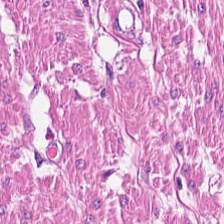H&E-stained tissue section.
Impression — smooth muscle.
